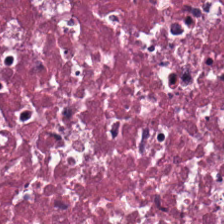H&E — {"tissue_type": "cellular debris"}
